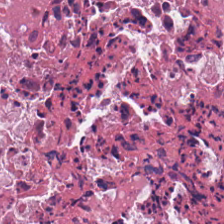Hematoxylin-and-eosin stained section.
This patch shows debris.
